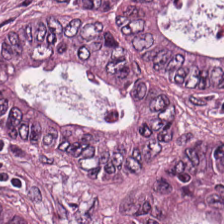Whole-slide-image patch; H&E stain; FFPE tissue section — Tissue class — colorectal adenocarcinoma epithelium.
